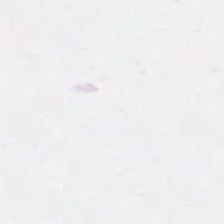H&E-stained tissue section; 20× equivalent magnification — Field content = empty background.
